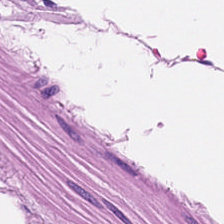H&E. Q: What tissue type is shown here?
A: It is muscularis.
